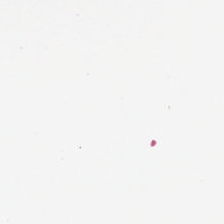224×224 pixel tile · H&E stain — Content — background.
